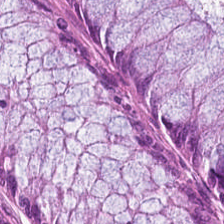Stain: hematoxylin and eosin.
Tissue: normal colon mucosa.
